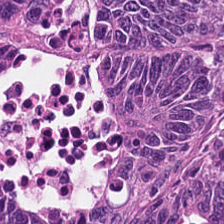H&E stain. Tissue class — malignant epithelium.
